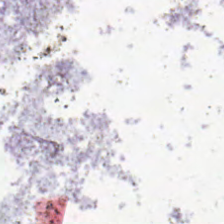Hematoxylin-and-eosin stained section; 224×224 pixel tile. Q: Classify this patch.
A: No tissue.
